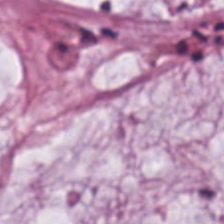H&E-stained tissue section. WSI patch.
Mucus.
